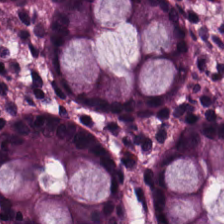Stain: H&E stain.
Predominant tissue: benign colonic mucosa.
